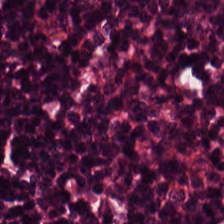H&E. Tissue class: lymphocyte aggregate.
